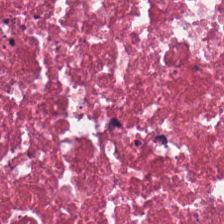H&E-stained section; the field shows debris.
